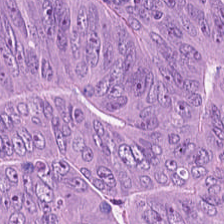Hematoxylin and eosin. 0.5 µm/px. Brightfield — Showing adenocarcinoma.
